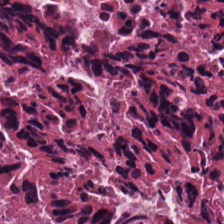Predominantly debris.
